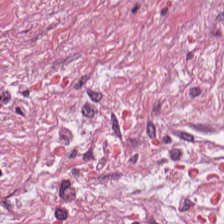Whole-slide-image patch · 224×224 pixel tile · H&E.
Predominantly cancer-associated stroma.
